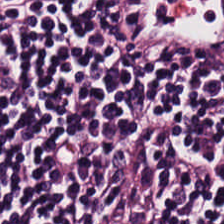Showing lymphocytic infiltrate.
